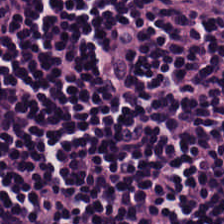Hematoxylin-and-eosin stained section · brightfield — Q: Classify this patch.
A: This is lymphocytes.
